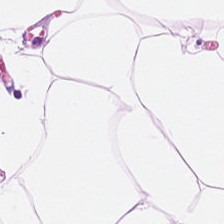0.5 µm/px; 224×224 px patch; H&E — This patch shows adipocytes.
